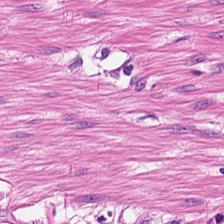Stain: H&E stain.
Resolution: 20× equivalent magnification.
Classification: muscularis.
